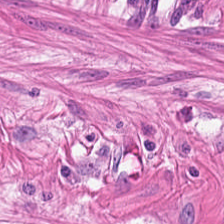Finding → muscularis.
